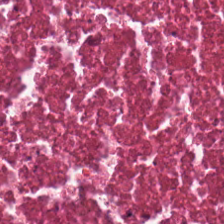0.5 microns per pixel; H&E.
Tissue: cellular debris.
